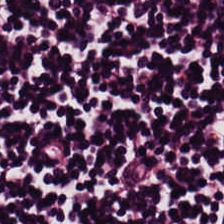H&E. The tissue is lymphocyte aggregate.
